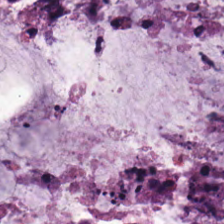H&E-stained tissue section — The tissue is extracellular mucin.
